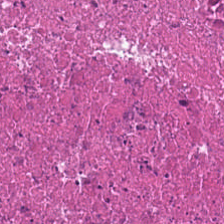Showing necrotic debris.
